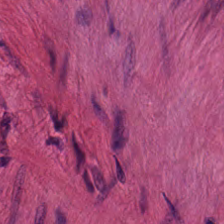Stain: hematoxylin and eosin.
Preparation: FFPE tissue section.
Tissue type: muscularis.
